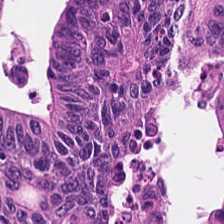The predominant tissue is colorectal adenocarcinoma epithelium.
